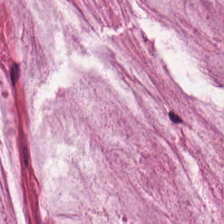Hematoxylin and eosin.
Q: Classify this patch.
A: This is mucus.
